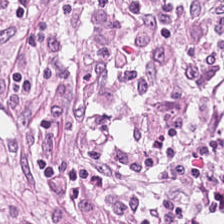Hematoxylin-and-eosin stained section — Desmoplastic stroma.
